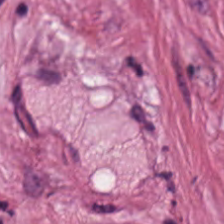H&E-stained tissue section. 224×224 px patch. 0.5 microns per pixel.
The tissue here is tumor-associated stroma.
